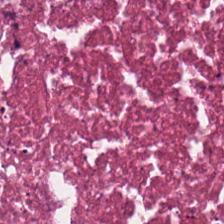H&E; FFPE tissue section; 224×224 px tile — Tissue — debris.
